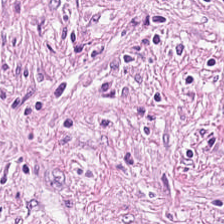H&E — cancer-associated stroma.
